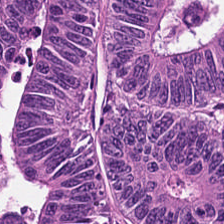Formalin-fixed paraffin-embedded section. Hematoxylin and eosin — Histology → colorectal adenocarcinoma.
